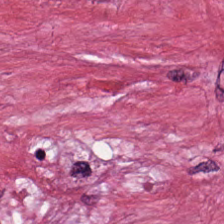Q: What tissue is shown?
A: The field shows tumor-associated stroma.
